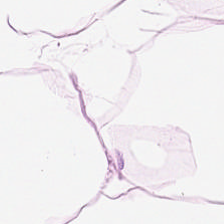Stain: H&E.
Tissue: fat tissue.
